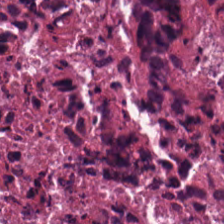H&E. This patch shows debris.
